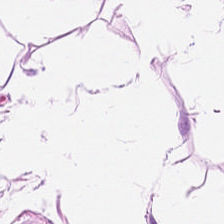H&E-stained tissue section. 224×224 px patch.
Predominantly adipocytes.
